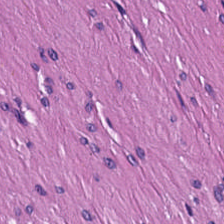Stain: hematoxylin-and-eosin stained section.
Tissue: smooth-muscle tissue.
